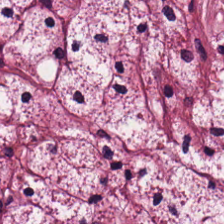The tissue here is desmoplastic stroma.
